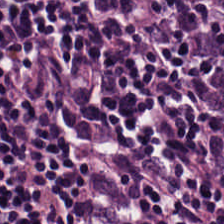H&E stain.
Q: What is shown here?
A: This is lymphocytes.
